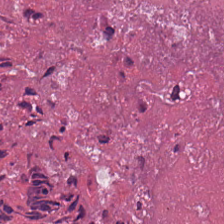Hematoxylin-and-eosin stained section — Q: Classify this patch.
A: The field shows debris.
